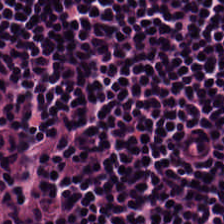Stain: H&E.
Tissue: lymphoid infiltrate.
